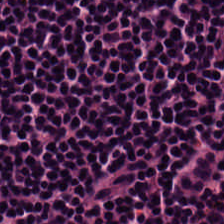Hematoxylin-and-eosin stained section. Q: What is shown in this field?
A: Lymphocyte aggregate.
